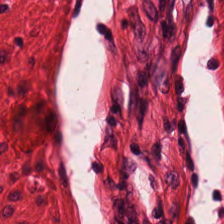Brightfield microscopy; H&E; 20× equivalent magnification.
Q: What tissue is shown?
A: Muscularis.
